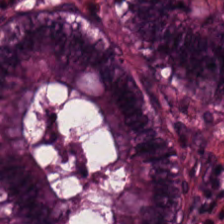224×224 px patch. Brightfield microscopy. H&E stain. Benign colonic mucosa.
